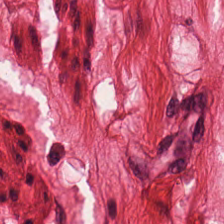Stain: H&E-stained tissue section.
Predominant tissue: smooth muscle.
